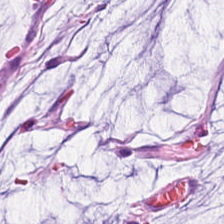H&E stain — Showing mucin.
